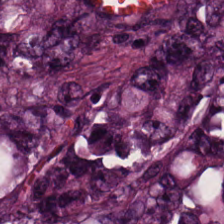Hematoxylin and eosin — Histology → tumor epithelium.
